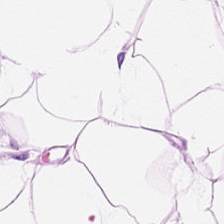H&E stain. WSI patch. Predominant tissue: adipose.
